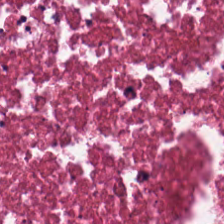H&E patch showing debris.
